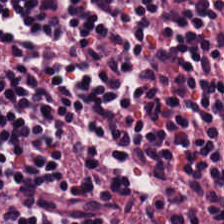H&E.
The tissue here is lymphoid infiltrate.
